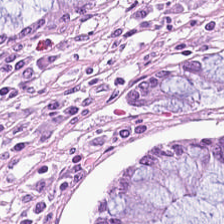H&E-stained tissue section — This field is benign colonic mucosa.
